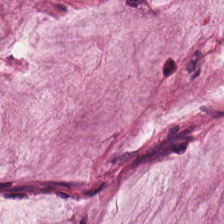Hematoxylin-and-eosin stained section · FFPE tissue section — The tissue is extracellular mucin.
